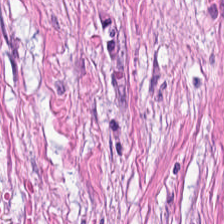0.5 µm/px. H&E-stained tissue section. Predominantly tumor-associated stroma.
